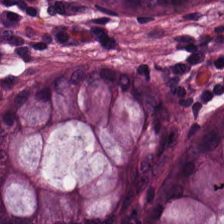H&E-stained tissue section.
Q: What is shown here?
A: It is normal colonic mucosa.
